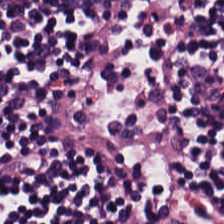FFPE · hematoxylin-and-eosin stained section · 224×224 pixel tile.
Lymphocytic infiltrate.
